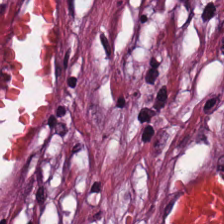0.5 µm/px · H&E — Q: What is shown here?
A: Tumor stroma.
